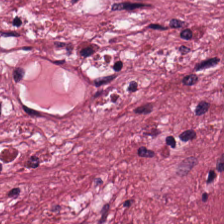Brightfield microscopy; hematoxylin-and-eosin stained section. Impression — desmoplastic stroma.
